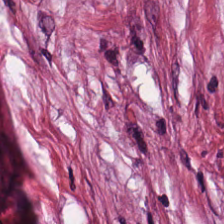Stain: H&E.
Tissue type: desmoplastic stroma.
